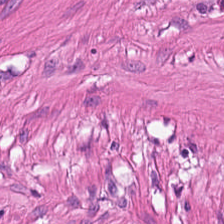H&E-stained tissue section.
Smooth muscle.
